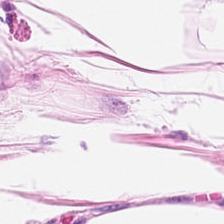20× equivalent magnification · H&E-stained tissue section. Q: What tissue type is shown here?
A: It is fat tissue.
